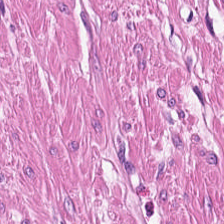Q: What is the predominant tissue type?
A: Smooth-muscle tissue.
